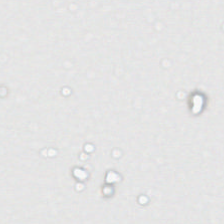Stain: H&E-stained tissue section.
Classification: empty background.
